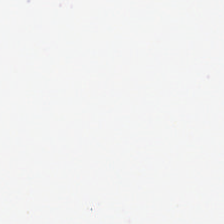H&E; 0.5 µm per pixel. The field content is no tissue.
